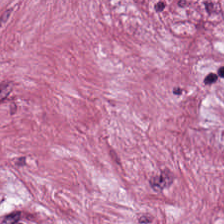H&E.
Q: What type of tissue is this?
A: This is tumor stroma.
